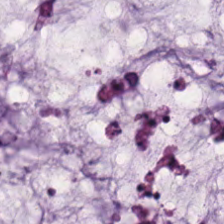H&E — extracellular mucin.
